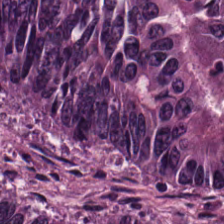0.5 µm/px; hematoxylin-and-eosin stained section; FFPE. Predominantly tumor epithelium.
